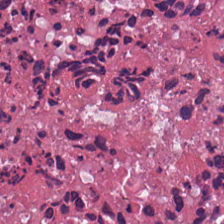H&E-stained tissue section. 224×224 pixel tile.
Q: What is shown here?
A: Cellular debris.
